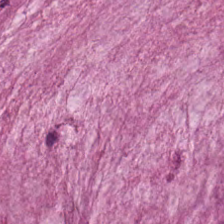Stain: hematoxylin and eosin.
Tissue type: mucus.
